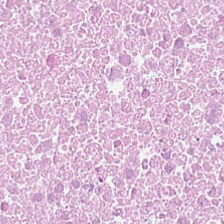224×224 px patch. H&E-stained tissue section. Whole-slide-image patch.
The tissue is debris.
